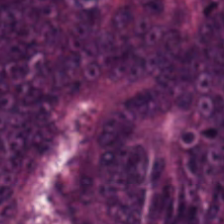Q: What is shown in this field?
A: Adenocarcinoma.
